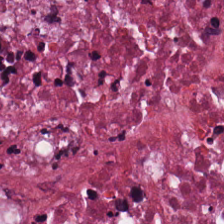The predominant tissue is necrotic debris.
